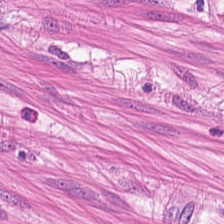Stain: H&E stain.
Tissue: muscularis.
